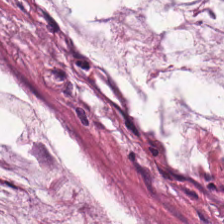Extracellular mucin.
